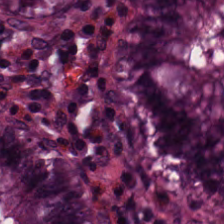20× equivalent magnification · H&E · 224×224 px tile. Q: What type of tissue is this?
A: Non-neoplastic colon mucosa.
